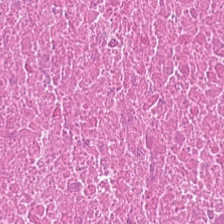The tissue is necrotic debris.
